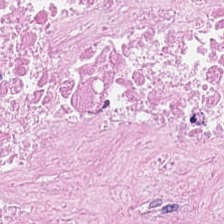Tissue = cellular debris.
